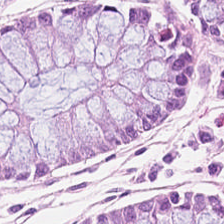Hematoxylin and eosin. Whole-slide-image patch. Benign colonic mucosa.
